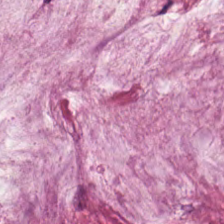H&E stain — Tissue type = mucin.
